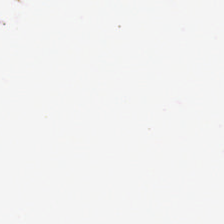H&E; whole-slide-image patch. {"content": "background"}
